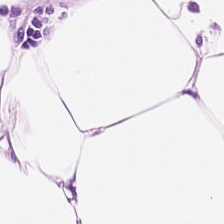H&E stain — Tissue — adipose tissue.
